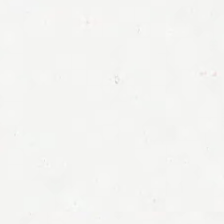H&E stain.
{"content": "background"}
